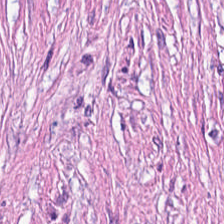Stain: H&E-stained tissue section.
Tissue class: cancer-associated stroma.
